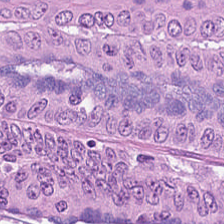Stain: hematoxylin and eosin.
Predominant tissue: tumor epithelium.
